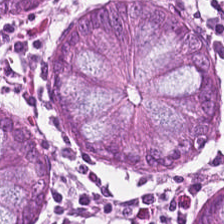The tissue class is normal colon mucosa.
